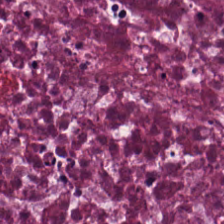Hematoxylin-and-eosin stained section; 0.5 microns per pixel. Q: Identify the tissue.
A: The field shows cellular debris.
